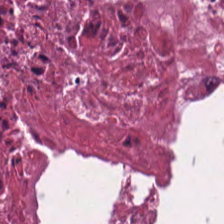The classification is debris.
